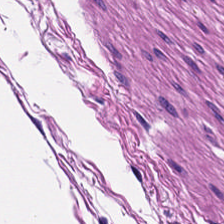H&E-stained tissue section — Predominantly smooth muscle.
